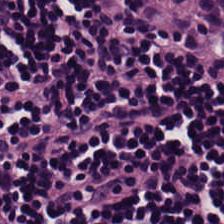224×224 px tile · H&E stain · whole-slide-image patch.
Histology → lymphocyte aggregate.
